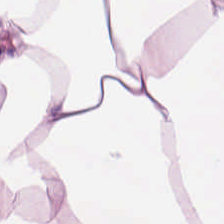H&E stain.
Classification — adipocytes.
